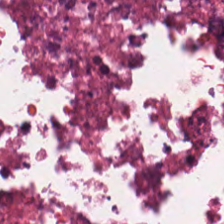H&E-stained tissue section · 0.5 microns per pixel — The predominant tissue is cellular debris.
